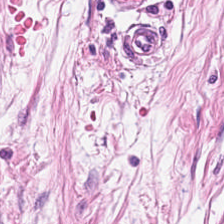H&E.
The tissue here is desmoplastic stroma.
